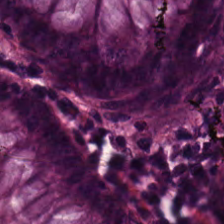Stain: H&E stain.
Acquisition: WSI patch.
Tissue class: normal colon mucosa.
